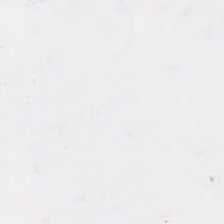Field content = background (no tissue).
